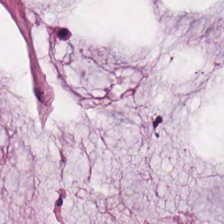H&E. Q: Identify the tissue.
A: This is extracellular mucin.
